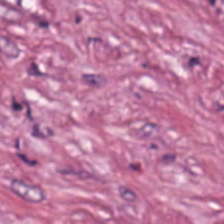Stain: hematoxylin and eosin.
Tile size: 224×224 px patch.
Acquisition: brightfield microscopy.
Tissue class: desmoplastic stroma.
